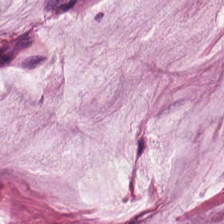FFPE · brightfield microscopy · H&E-stained tissue section. This field is mucin.
